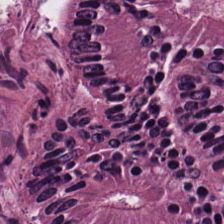Hematoxylin and eosin. Whole-slide-image patch — Impression → malignant epithelium.
